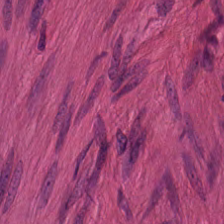Hematoxylin-and-eosin stained section. Q: What is the predominant tissue type?
A: This is smooth muscle.
